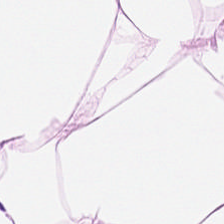Hematoxylin and eosin. This field is adipose tissue.
